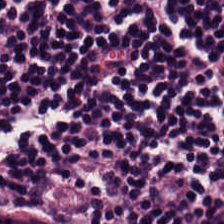H&E stain; FFPE. Predominantly lymphocytes.
